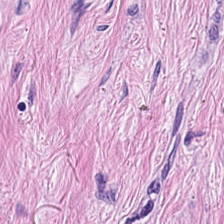Stain: hematoxylin and eosin.
Predominant tissue: tumor stroma.
